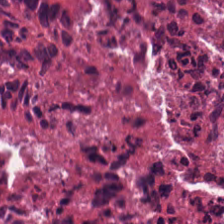FFPE tissue section · H&E stain. Predominantly cellular debris.
